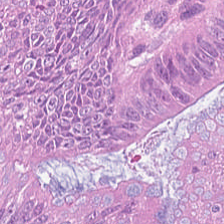Tissue class — adenocarcinoma.
